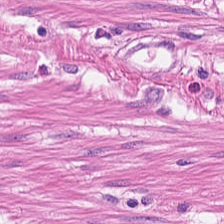H&E stain.
Predominantly smooth-muscle tissue.
